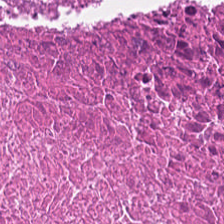H&E stain — Tissue = necrotic debris.
